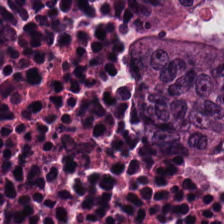H&E. Impression → malignant epithelium.
